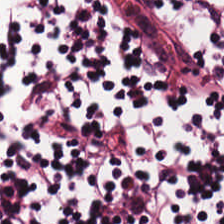224×224 pixel tile. H&E stain. FFPE.
The predominant tissue is lymphoid infiltrate.
